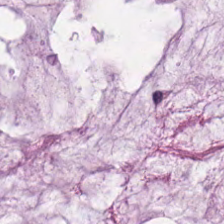Histology — mucin.
